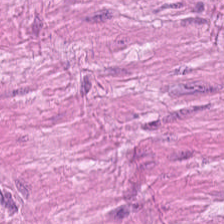H&E — Tissue = muscularis.
